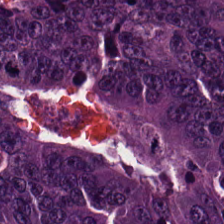Hematoxylin and eosin — {"tissue_type": "colorectal adenocarcinoma"}
